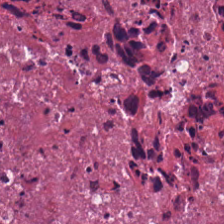224×224 pixel tile; hematoxylin-and-eosin stained section. Predominantly cellular debris.
